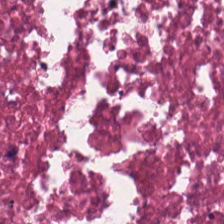H&E.
Predominantly necrotic debris.
